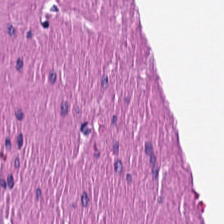H&E; 224×224 px patch — Predominantly smooth muscle.
